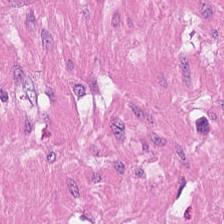H&E-stained tissue section — Classification = muscularis.
